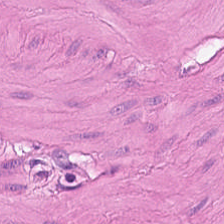Stain: hematoxylin and eosin.
Classification: smooth-muscle tissue.
